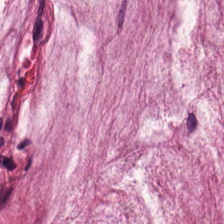Stain: H&E-stained tissue section.
Tissue class: mucin.
